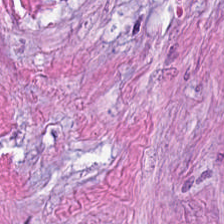Hematoxylin and eosin.
Impression — tumor-associated stroma.
